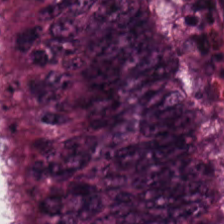H&E. Brightfield microscopy. 224×224 pixel tile.
Predominant tissue = adenocarcinoma.
